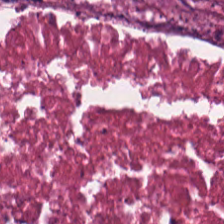Stain: hematoxylin-and-eosin stained section.
Tissue type: cellular debris.
